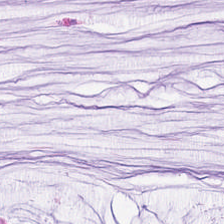20× equivalent magnification · H&E · FFPE tissue section.
Classification: mucus.
